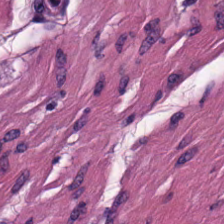Hematoxylin and eosin. Impression → smooth-muscle tissue.
